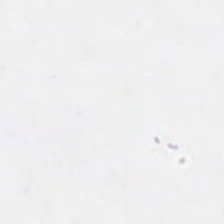H&E; 224×224 px tile. Content = background (no tissue).
